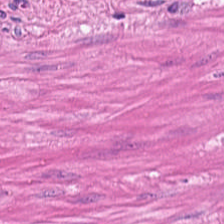H&E — Q: Identify the tissue.
A: This is muscularis.
